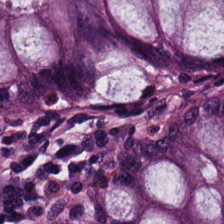H&E-stained tissue section · 224×224 px tile — This patch shows non-neoplastic colon mucosa.
